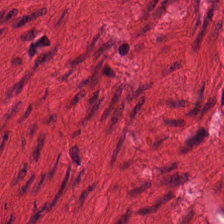H&E stain — Showing smooth muscle.
